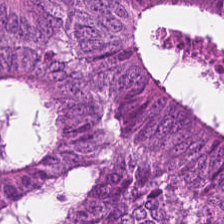Hematoxylin and eosin. FFPE — Classification — colorectal adenocarcinoma.
